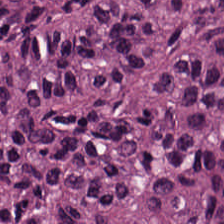Hematoxylin-and-eosin stained section — Predominantly colorectal adenocarcinoma epithelium.
